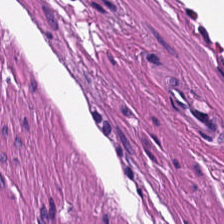Brightfield; H&E-stained tissue section. Showing smooth-muscle tissue.
